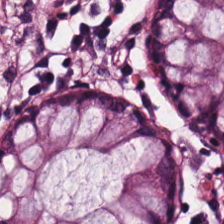Hematoxylin and eosin — Histology — normal colonic mucosa.
